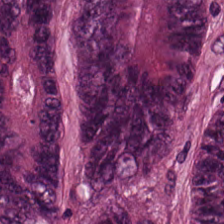H&E. Histology — tumor epithelium.
